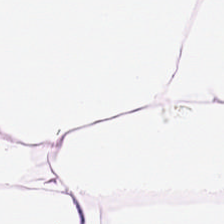Stain: hematoxylin-and-eosin stained section.
Resolution: 0.5 microns per pixel.
Preparation: FFPE tissue section.
Classification: adipose.
